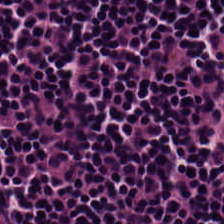Hematoxylin-and-eosin stained section — The tissue type is lymphocytic infiltrate.
